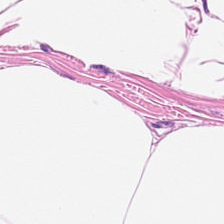FFPE tissue section · hematoxylin and eosin.
The tissue here is adipose.
